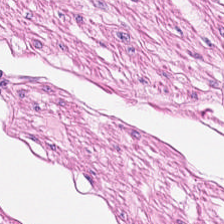Hematoxylin-and-eosin stained section. This field is smooth-muscle tissue.
